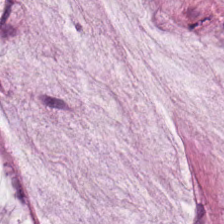Hematoxylin-and-eosin stained section · 0.5 µm/px — This field is extracellular mucin.
